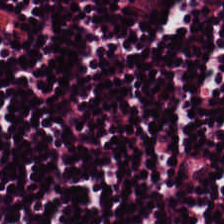Stain: H&E.
Predominant tissue: lymphocyte aggregate.
